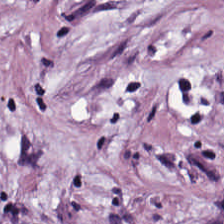The tissue type is tumor-associated stroma.
